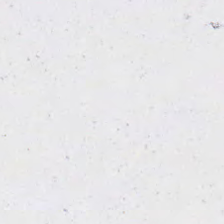Hematoxylin-and-eosin stained section. Formalin-fixed paraffin-embedded section — This field is background (no tissue).
